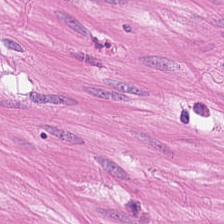Predominantly smooth-muscle tissue.
